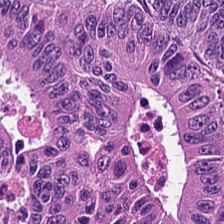H&E. Malignant epithelium.
